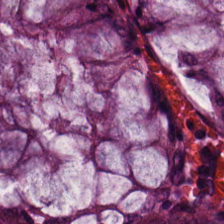Brightfield microscopy; FFPE tissue section; H&E stain. Q: What type of tissue is this?
A: It is benign colonic mucosa.
